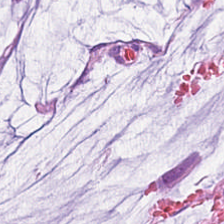224×224 px patch. Hematoxylin and eosin — Predominantly extracellular mucin.
